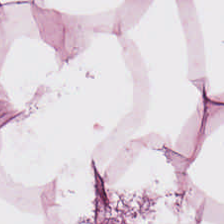Formalin-fixed paraffin-embedded section. H&E.
Q: What type of tissue is this?
A: The field shows adipose.
